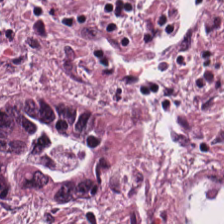Hematoxylin-and-eosin stained section.
Histology — colorectal adenocarcinoma.
